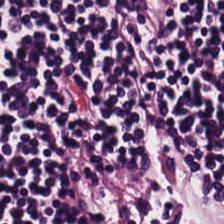Hematoxylin-and-eosin stained section. The tissue type is lymphocyte aggregate.
